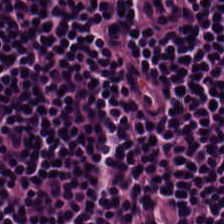Hematoxylin and eosin — Q: What tissue type is shown here?
A: This is lymphocyte aggregate.
